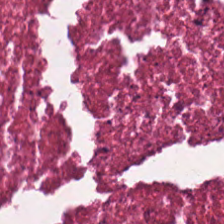H&E.
Predominant tissue: necrotic debris.
